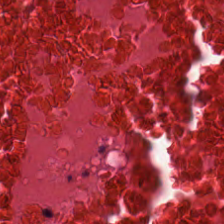H&E-stained tissue section; 224×224 px tile — Tissue type: debris.
